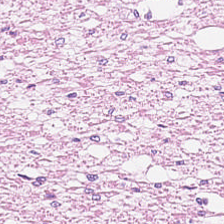Hematoxylin and eosin — The tissue type is muscularis.
